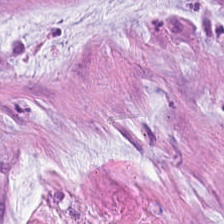Stain: H&E stain.
Tissue type: extracellular mucin.
